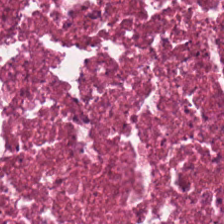{"tissue_type": "cellular debris"}
